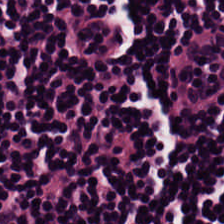This field is lymphocytic infiltrate.
